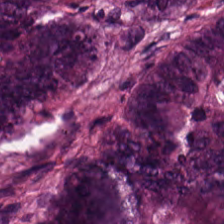This field is colorectal adenocarcinoma epithelium.
